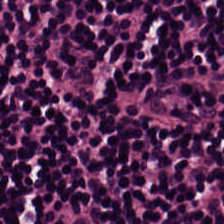H&E stain; 20× equivalent magnification; brightfield microscopy — Q: What tissue type is shown here?
A: It is lymphocytes.
